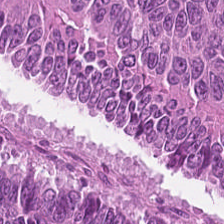H&E stain. Whole-slide-image patch. 20× equivalent magnification — Tissue — malignant epithelium.
